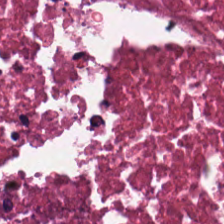Q: What does this patch show?
A: The field shows necrotic debris.
